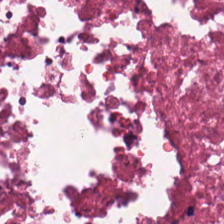0.5 microns per pixel · hematoxylin and eosin · brightfield. Tissue class: necrotic debris.
